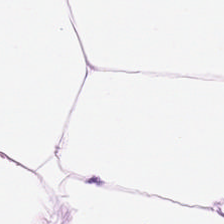Stain: H&E-stained tissue section.
Resolution: 0.5 µm per pixel.
Preparation: FFPE tissue section.
Classification: adipocytes.
